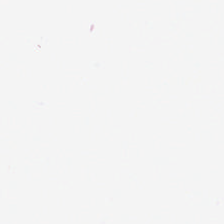Whole-slide-image patch; hematoxylin and eosin.
Q: What is shown in this field?
A: This is empty background.
